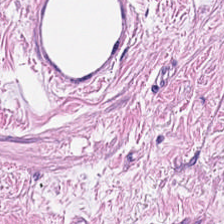Stain: H&E-stained tissue section.
Tissue class: smooth-muscle tissue.
